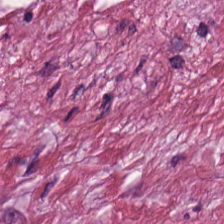FFPE tissue section · H&E · 224×224 px tile. The predominant tissue is tumor stroma.
